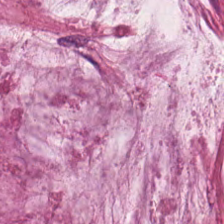The tissue here is mucus.
